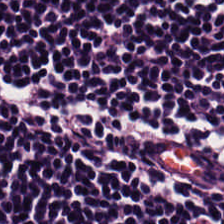Stain: H&E-stained tissue section.
Resolution: 0.5 µm/px.
Classification: lymphocyte aggregate.
